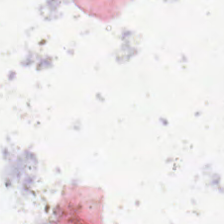Classification: empty background.
